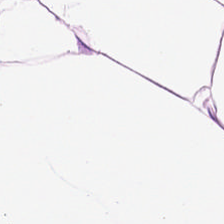Hematoxylin-and-eosin stained section. Predominantly adipose.
